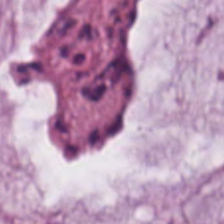H&E stain — Q: What does this patch show?
A: This is extracellular mucin.
